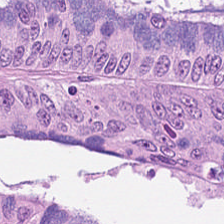Hematoxylin and eosin. Brightfield microscopy — Tissue = colorectal adenocarcinoma.
